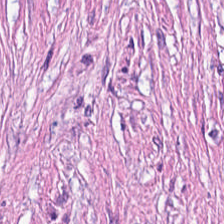H&E-stained tissue section. Histology — cancer-associated stroma.
